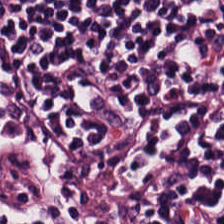Hematoxylin-and-eosin stained section. Showing lymphocytic infiltrate.
